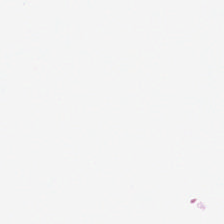H&E — Q: What does this patch show?
A: Background (no tissue).
